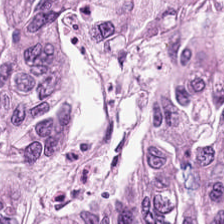Stain: hematoxylin-and-eosin stained section.
Preparation: FFPE.
Acquisition: brightfield microscopy.
Tissue class: colorectal adenocarcinoma epithelium.
